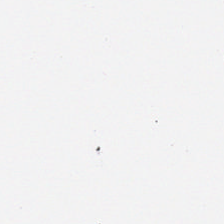0.5 µm/px. H&E-stained tissue section. WSI patch.
Empty background.
